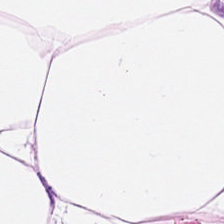Stain: H&E-stained tissue section.
Tissue: adipocytes.
